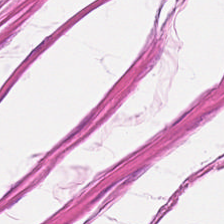Stain: H&E.
Predominant tissue: smooth-muscle tissue.
